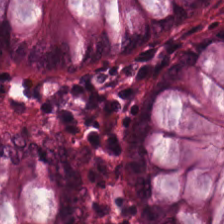H&E-stained tissue section. The predominant tissue is benign colonic mucosa.
